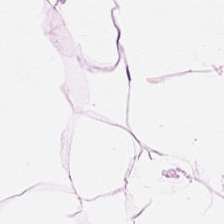Hematoxylin and eosin; 224×224 px patch — This field is adipose.
